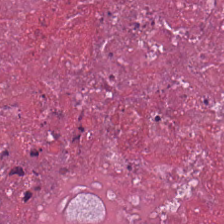224×224 px tile; hematoxylin-and-eosin stained section; 0.5 microns per pixel.
The tissue here is cellular debris.
